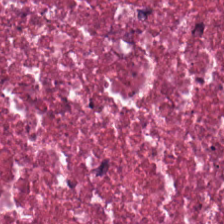Q: What is shown in this field?
A: Debris.
